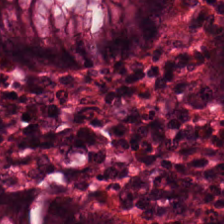H&E-stained tissue section — Q: What is shown in this field?
A: The field shows non-neoplastic colon mucosa.
